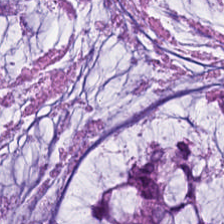Brightfield; H&E stain; FFPE tissue section. Predominantly mucus.
